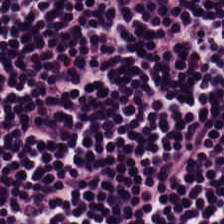H&E stain. Predominantly lymphocytic infiltrate.
